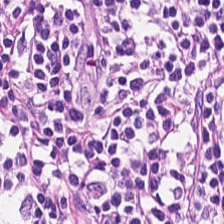H&E-stained tissue section — Predominantly lymphocyte aggregate.
